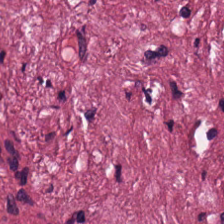H&E stain.
Q: What is shown in this field?
A: The field shows tumor-associated stroma.
